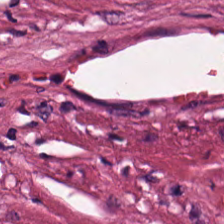{"tissue_type": "necrotic debris"}
